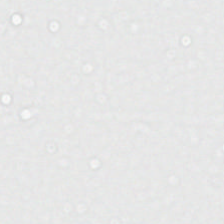H&E.
This patch shows no tissue.
